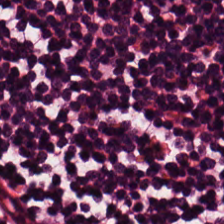H&E stain. Q: What type of tissue is this?
A: The field shows lymphocytic infiltrate.
